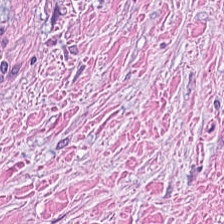Finding → tumor stroma.
